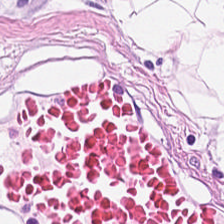FFPE · H&E stain — Finding — adipocytes.
